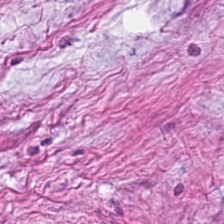Stain: H&E.
Tissue type: tumor-associated stroma.
